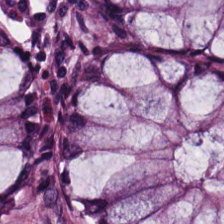Stain: H&E stain.
Tissue type: normal colonic mucosa.
